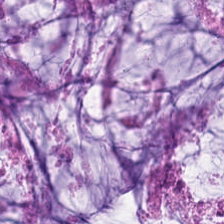Finding — extracellular mucin.
